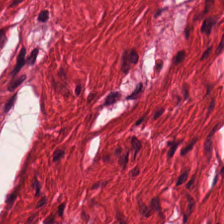H&E stain. WSI patch. 224×224 pixel tile — Tissue type — muscularis.
